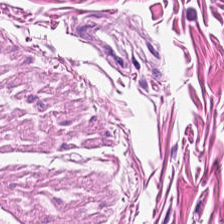WSI patch; FFPE tissue section; H&E stain — Tissue type — muscularis.
